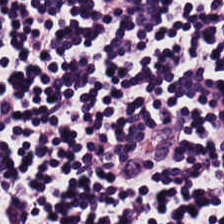Stain: H&E.
Tissue: lymphocytic infiltrate.
